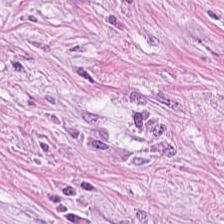H&E.
The predominant tissue is cancer-associated stroma.
